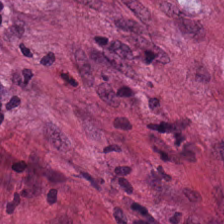H&E stain · 224×224 pixel tile.
Desmoplastic stroma.
